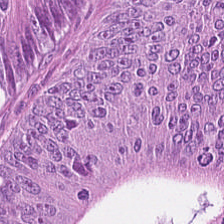Hematoxylin-and-eosin stained section.
The tissue is colorectal adenocarcinoma.
